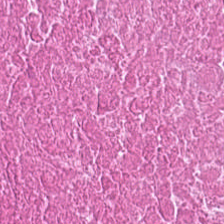H&E-stained tissue section. 0.5 microns per pixel. Brightfield microscopy — This patch shows necrotic debris.
